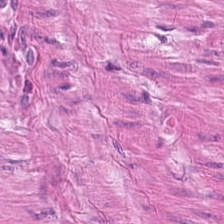0.5 µm/px. WSI patch. Hematoxylin-and-eosin stained section.
Predominantly smooth muscle.
